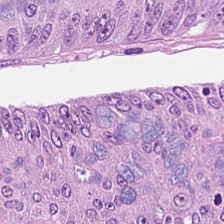{"tissue_type": "colorectal adenocarcinoma"}
